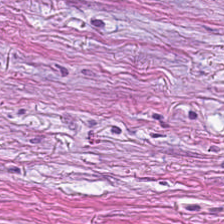H&E.
Impression → tumor stroma.
